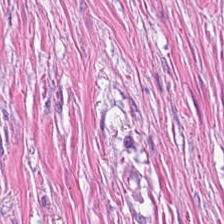H&E.
This patch shows desmoplastic stroma.
